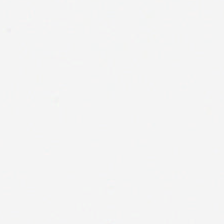H&E stain. Q: Classify this patch.
A: It is no tissue.
